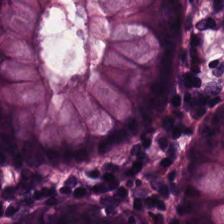Stain: hematoxylin and eosin.
Tissue: normal colon mucosa.
